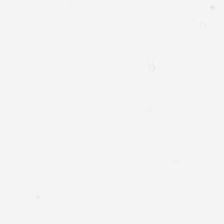224×224 px patch. H&E. 0.5 µm per pixel. Q: What is shown here?
A: This is empty background.
